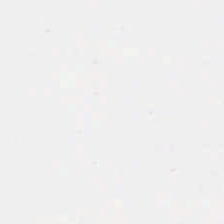This field is background (no tissue).
